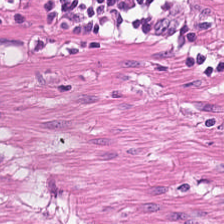Tissue class: smooth muscle.
